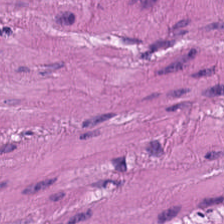H&E; WSI patch. This patch shows smooth-muscle tissue.
